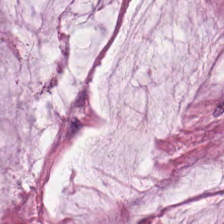Finding — mucus.
